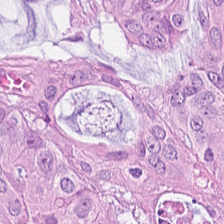20× equivalent magnification. FFPE. Hematoxylin and eosin.
The tissue is colorectal adenocarcinoma.
